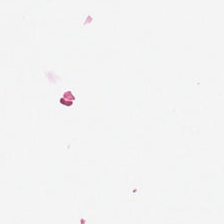This patch shows background.
